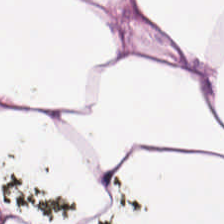Hematoxylin and eosin. Whole-slide-image patch.
Finding — fat tissue.
